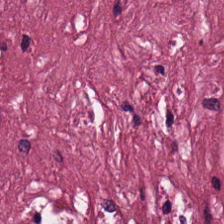Predominant tissue: tumor-associated stroma.
